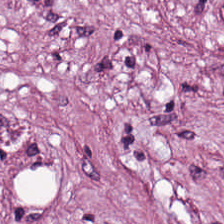Formalin-fixed paraffin-embedded section. Hematoxylin and eosin. Brightfield.
Q: What is shown here?
A: This is tumor stroma.
